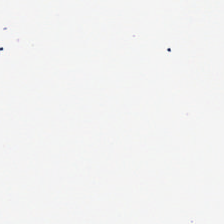Formalin-fixed paraffin-embedded section; whole-slide-image patch; hematoxylin and eosin — {"content": "no tissue"}
